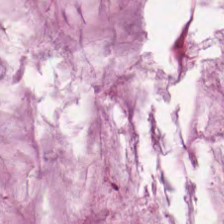H&E-stained tissue section — This patch shows mucin.
